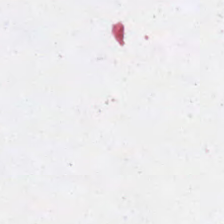H&E-stained tissue section. Q: What is shown here?
A: No tissue.
